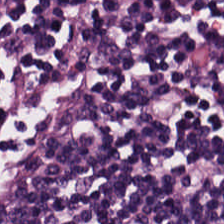H&E. This field is lymphoid infiltrate.
